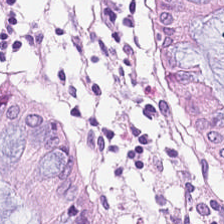20× equivalent magnification; H&E-stained tissue section. Tissue class = benign colonic mucosa.
